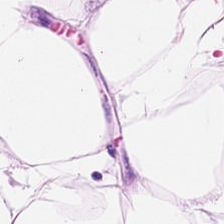Hematoxylin and eosin.
Histology — adipose tissue.
